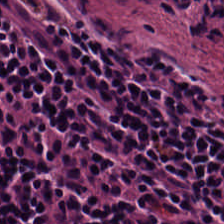Finding → lymphoid infiltrate.
